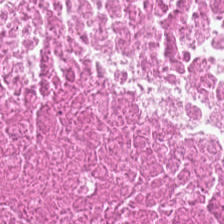H&E stain · formalin-fixed paraffin-embedded section · 20× equivalent magnification.
Predominant tissue = cellular debris.
